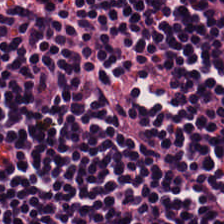Brightfield microscopy · hematoxylin and eosin. Predominantly lymphocyte aggregate.
